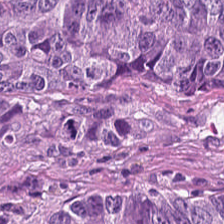Q: Identify the tissue.
A: This is colorectal adenocarcinoma.
